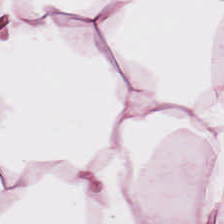Formalin-fixed paraffin-embedded section · hematoxylin and eosin.
Tissue type — fat tissue.
